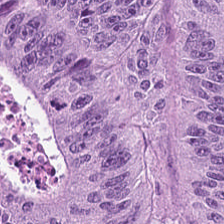H&E.
Impression — tumor epithelium.
